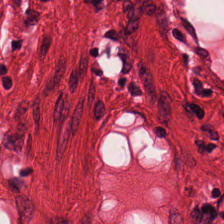224×224 px patch. FFPE tissue section. Hematoxylin and eosin — This patch shows smooth muscle.
